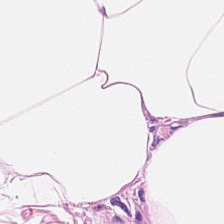Finding — adipocytes.
